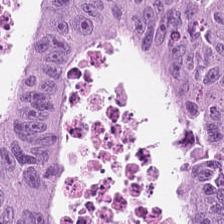20× equivalent magnification. H&E — Finding — adenocarcinoma.
